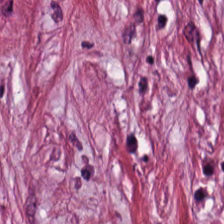H&E stain — Impression → tumor-associated stroma.
